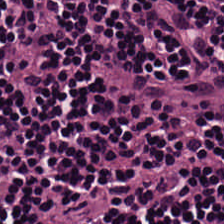Formalin-fixed paraffin-embedded section. H&E-stained tissue section. Classification = lymphoid infiltrate.
